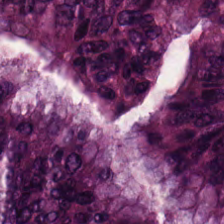H&E stain. Showing adenocarcinoma.
